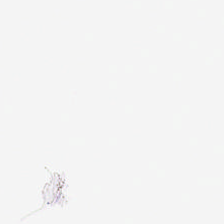Hematoxylin-and-eosin stained section. 224×224 px patch — Background — no tissue in this field.
